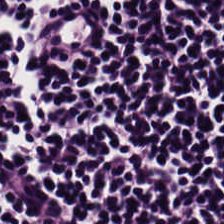H&E stain.
The tissue class is lymphocytic infiltrate.
